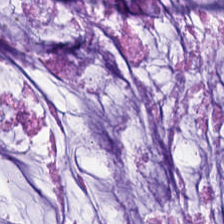Hematoxylin and eosin. 224×224 pixel tile. Q: What is shown here?
A: The field shows mucin.
